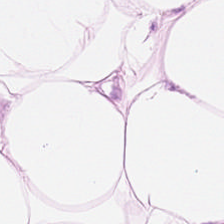20× equivalent magnification; FFPE tissue section; H&E. This patch shows adipocytes.
